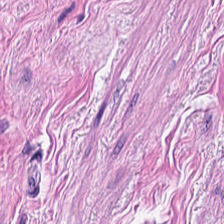Stain: hematoxylin-and-eosin stained section.
Tile size: 224×224 px tile.
Resolution: 20× equivalent magnification.
Tissue class: muscularis.
